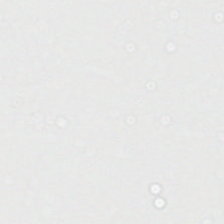Hematoxylin-and-eosin stained section.
Background — no tissue in this field.
